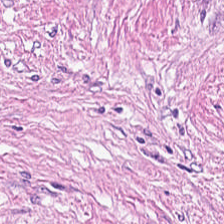Q: What is the predominant tissue type?
A: The field shows desmoplastic stroma.
